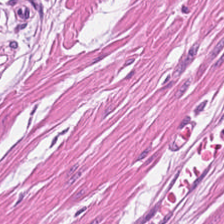This patch shows smooth-muscle tissue.
